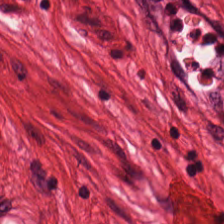224×224 px tile. H&E-stained tissue section.
Q: What does this patch show?
A: Smooth muscle.
